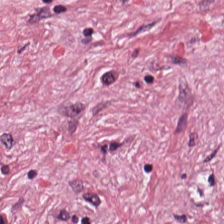Hematoxylin and eosin — Predominantly tumor stroma.
